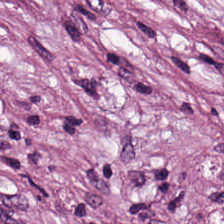H&E patch showing tumor-associated stroma.
